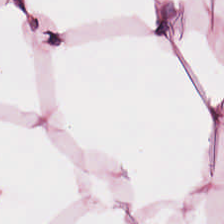Whole-slide-image patch · FFPE · hematoxylin-and-eosin stained section.
Showing fat tissue.
